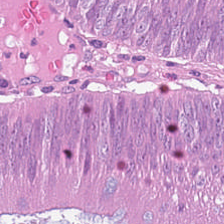Hematoxylin and eosin.
Showing colorectal adenocarcinoma epithelium.
